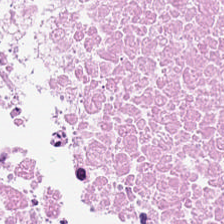The predominant tissue is necrotic debris.
